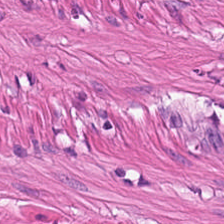Classification — smooth muscle.
